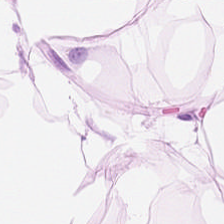Stain: H&E.
Tissue class: adipose.
